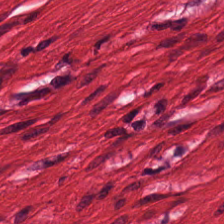0.5 microns per pixel; hematoxylin-and-eosin stained section; brightfield. Q: What is shown here?
A: It is muscularis.
